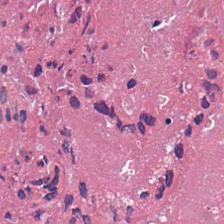H&E. The tissue here is debris.
